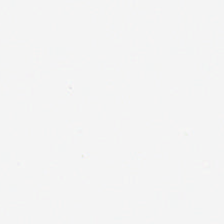Hematoxylin-and-eosin stained section · 224×224 px patch — {"content": "background"}
